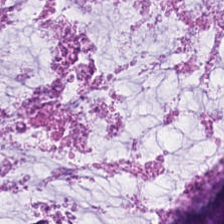Stain: H&E-stained tissue section.
Tile size: 224×224 px patch.
Tissue: extracellular mucin.
